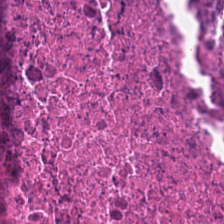FFPE · hematoxylin-and-eosin stained section.
Cellular debris.
